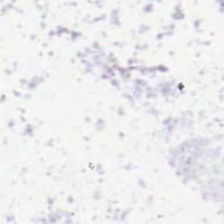Background.
